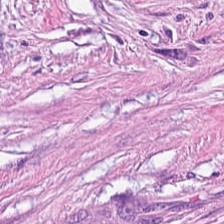Brightfield microscopy. Hematoxylin and eosin. 224×224 px patch.
This field is cancer-associated stroma.
